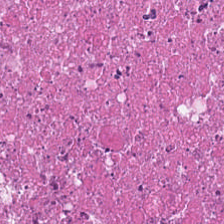H&E-stained tissue section; 224×224 px patch; FFPE — Classification = cellular debris.
